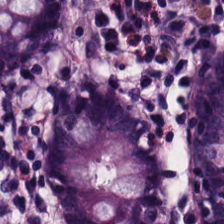Hematoxylin-and-eosin stained section — Q: What is the predominant tissue type?
A: Normal colonic mucosa.
